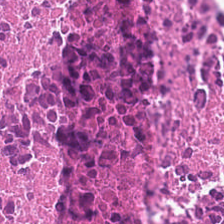H&E — Predominant tissue: debris.
